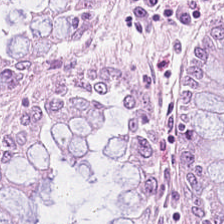Whole-slide-image patch · 224×224 px patch · H&E-stained tissue section. Showing normal colon mucosa.
